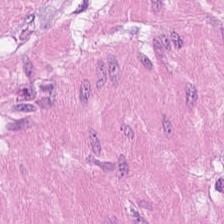H&E-stained tissue section showing smooth muscle.
